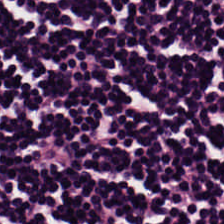H&E stain — The predominant tissue is lymphocytic infiltrate.
